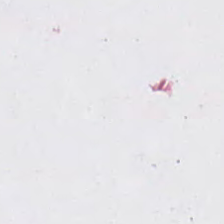FFPE tissue section; hematoxylin and eosin. Field content = empty background.
